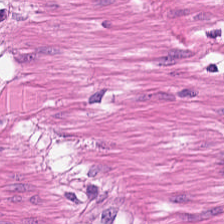H&E-stained section; the field shows smooth-muscle tissue.
